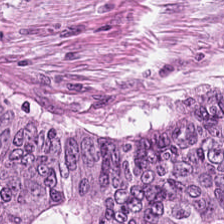Predominantly adenocarcinoma.
